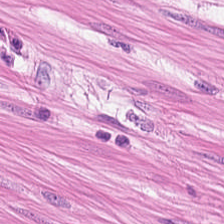Hematoxylin-and-eosin stained section.
Q: Classify this patch.
A: It is smooth muscle.
